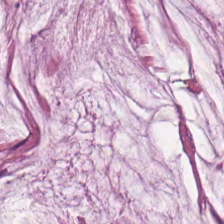0.5 microns per pixel · hematoxylin and eosin. Histology — extracellular mucin.
